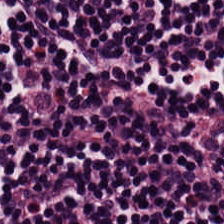Hematoxylin-and-eosin stained section. FFPE. This patch shows lymphocyte aggregate.
